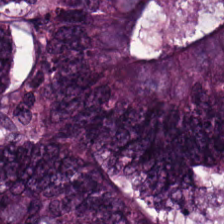Q: Identify the tissue.
A: It is colorectal adenocarcinoma.
